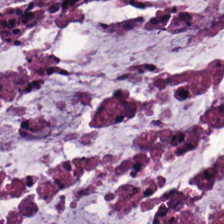H&E stain — Showing mucus.
